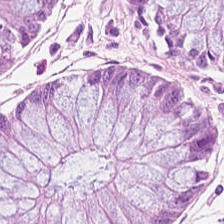Whole-slide-image patch · hematoxylin and eosin.
The tissue class is benign colonic mucosa.
